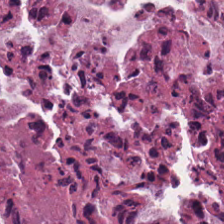Hematoxylin-and-eosin stained section. Tissue type: debris.
